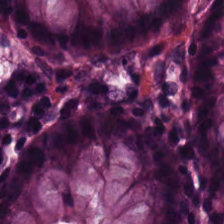Stain: H&E.
Tile size: 224×224 pixel tile.
Tissue class: normal colon mucosa.
